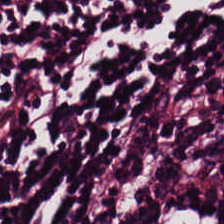H&E; WSI patch.
The predominant tissue is lymphoid infiltrate.
